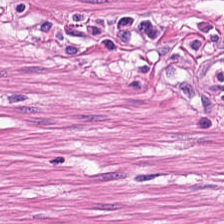H&E-stained tissue section. Q: What type of tissue is this?
A: This is smooth muscle.
